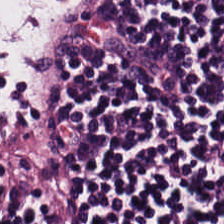H&E stain. Q: What tissue is shown?
A: Lymphocytic infiltrate.
